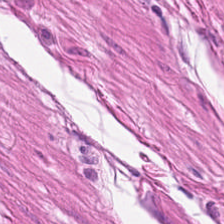Hematoxylin and eosin.
The tissue here is muscularis.
